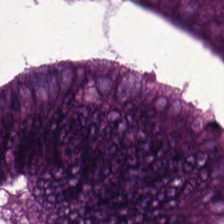The predominant tissue is colorectal adenocarcinoma.
